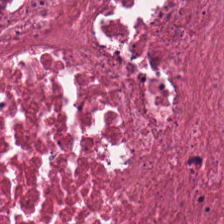Hematoxylin and eosin; 0.5 microns per pixel.
Tissue — cellular debris.
